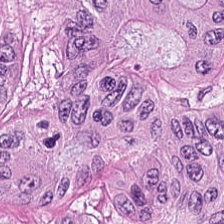H&E.
The tissue here is colorectal adenocarcinoma.
